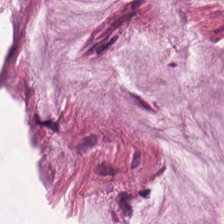H&E-stained tissue section. Tissue type = mucin.
